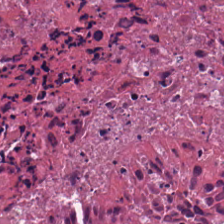H&E stain. This field is debris.
